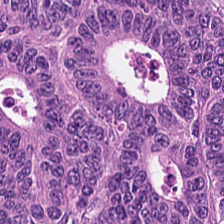Q: What tissue is shown?
A: This is adenocarcinoma.
